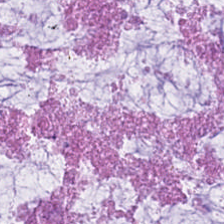Hematoxylin-and-eosin stained section; FFPE.
Showing extracellular mucin.
